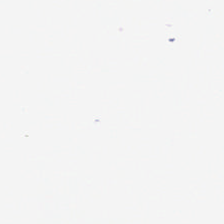Hematoxylin-and-eosin stained section; formalin-fixed paraffin-embedded section.
Field content = no tissue.
